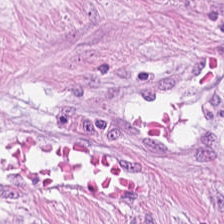Hematoxylin-and-eosin stained section · WSI patch. Q: What tissue is shown?
A: This is cancer-associated stroma.
